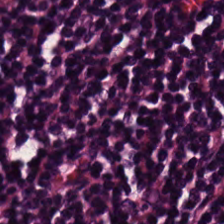Q: What is shown in this field?
A: It is lymphocytic infiltrate.
